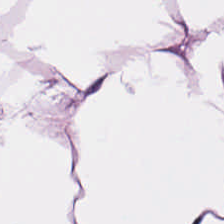Whole-slide-image patch; hematoxylin-and-eosin stained section.
This field is adipocytes.
